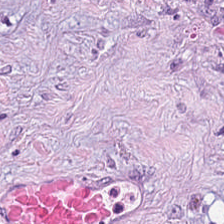Impression — desmoplastic stroma.
